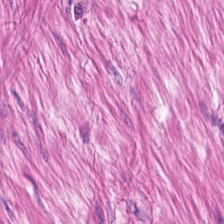H&E; 0.5 microns per pixel — {"tissue_type": "smooth-muscle tissue"}
